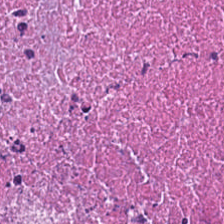H&E. 224×224 pixel tile. 0.5 µm per pixel — {"tissue_type": "cellular debris"}
